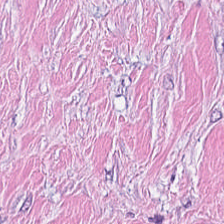FFPE; H&E stain.
Q: What type of tissue is this?
A: This is cancer-associated stroma.
